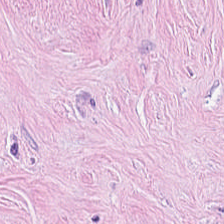H&E-stained tissue section. FFPE tissue section.
This patch shows cancer-associated stroma.
